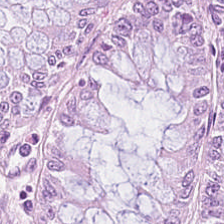H&E stain.
Predominantly normal colonic mucosa.
